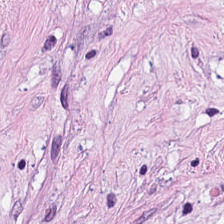Classification: cancer-associated stroma.
